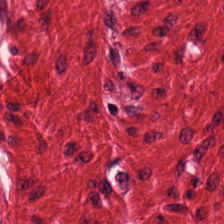H&E-stained tissue section.
Showing muscularis.
